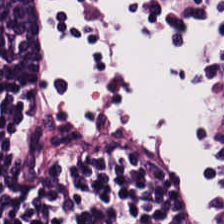Stain: H&E stain.
Preparation: FFPE tissue section.
Tile size: 224×224 px tile.
Tissue class: lymphocytes.
